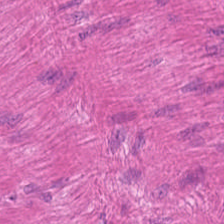H&E-stained tissue section. 224×224 px tile. Brightfield microscopy — Q: What is the predominant tissue type?
A: It is smooth-muscle tissue.
